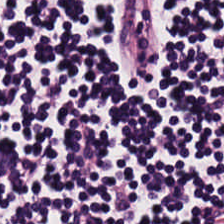H&E stain — Q: What does this patch show?
A: The field shows lymphocytes.
